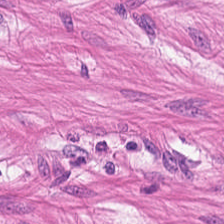Hematoxylin-and-eosin stained section. Impression → muscularis.
